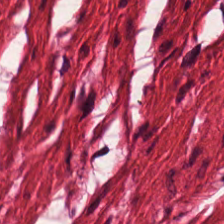Tissue type = smooth-muscle tissue.
